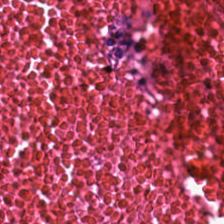Hematoxylin-and-eosin stained section.
Showing necrotic debris.
